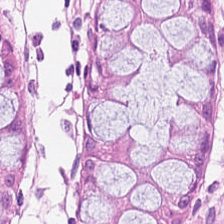Hematoxylin and eosin. This field is benign colonic mucosa.
